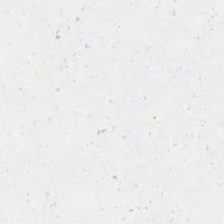H&E-stained tissue section — The content is background.
